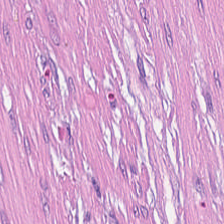H&E · 224×224 px tile — The classification is tumor-associated stroma.
